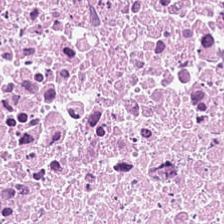Impression — necrotic debris.
